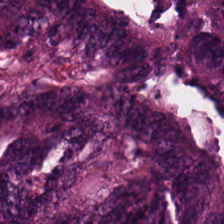Stain: H&E-stained tissue section.
Acquisition: brightfield microscopy.
Classification: tumor epithelium.
